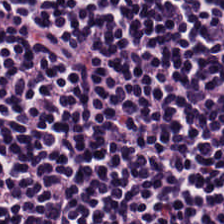Hematoxylin-and-eosin stained section.
Tissue = lymphocytes.
